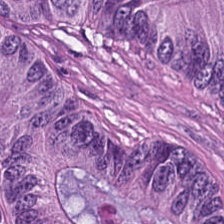Q: What is shown here?
A: It is colorectal adenocarcinoma epithelium.
